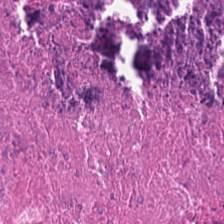H&E stain. Predominant tissue — necrotic debris.
